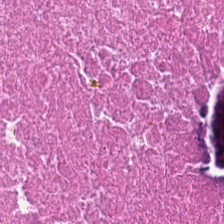H&E-stained tissue section.
Necrotic debris.
